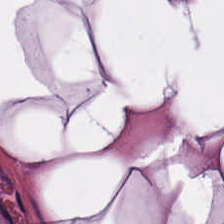H&E — adipose.
